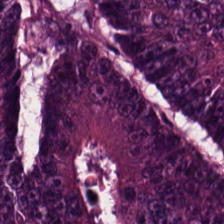Stain: H&E stain.
Tissue class: malignant epithelium.
